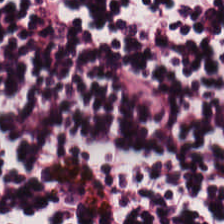H&E. Q: Identify the tissue.
A: It is lymphocytic infiltrate.
